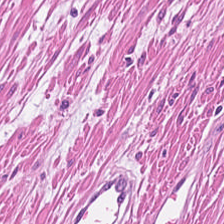FFPE tissue section; brightfield; hematoxylin-and-eosin stained section.
Q: What type of tissue is this?
A: Smooth-muscle tissue.
